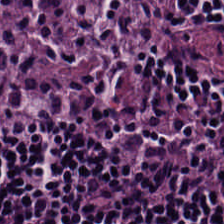224×224 px tile; formalin-fixed paraffin-embedded section; H&E.
Lymphoid infiltrate.
